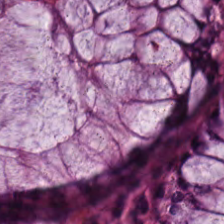H&E — Tissue: normal colon mucosa.
